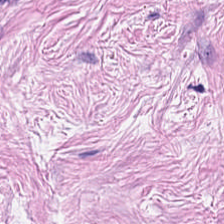H&E-stained tissue section. Tissue class — tumor stroma.
